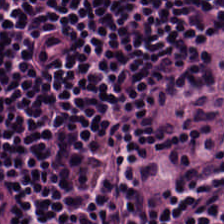The tissue here is lymphocyte aggregate.
